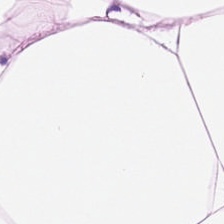H&E — adipose tissue.
